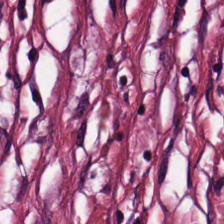Tumor-associated stroma.
